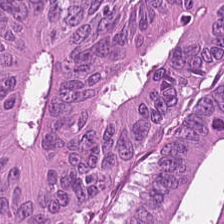Predominantly adenocarcinoma.
